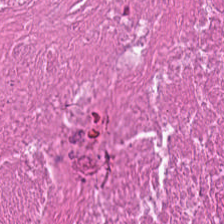20× equivalent magnification; 224×224 px tile; hematoxylin and eosin. Tissue — debris.
